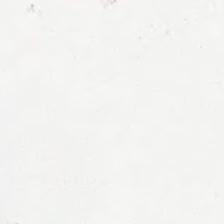H&E. Q: What is shown in this field?
A: No tissue.
